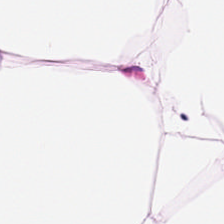H&E; 224×224 px patch; 20× equivalent magnification — Tissue — adipose tissue.
